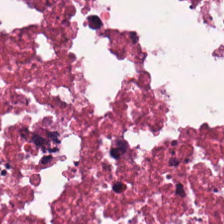H&E.
Tissue — debris.
